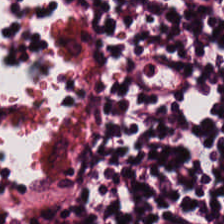Stain: H&E.
Acquisition: WSI patch.
Preparation: FFPE.
Tissue class: lymphoid infiltrate.
